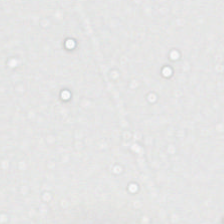Formalin-fixed paraffin-embedded section; H&E-stained tissue section; 20× equivalent magnification.
Q: What is shown in this field?
A: It is background (no tissue).
